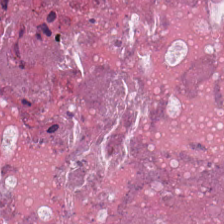The predominant tissue is debris.
